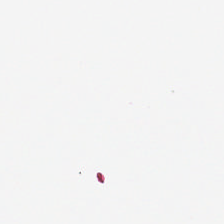H&E.
Field content — background (no tissue).
